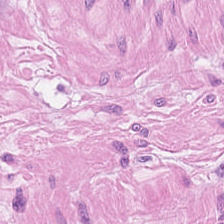Tissue = muscularis.
